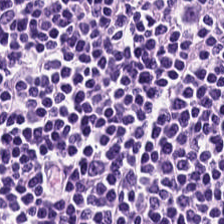H&E. The tissue here is lymphocyte aggregate.
